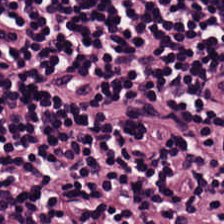Q: What tissue type is shown here?
A: This is lymphocytes.
